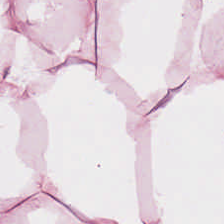H&E stain.
Histology → fat tissue.
